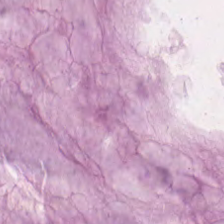Histology — mucus.
